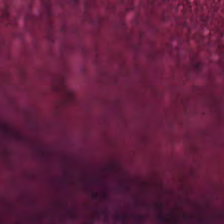{"tissue_type": "cellular debris"}
